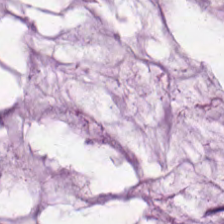Q: What is shown in this field?
A: Mucin.
